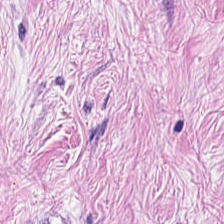Hematoxylin and eosin — Predominantly tumor stroma.
